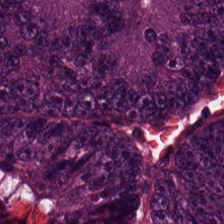224×224 px patch. H&E. FFPE tissue section.
The predominant tissue is colorectal adenocarcinoma epithelium.
